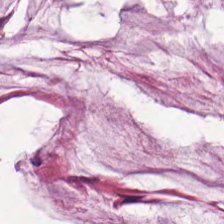224×224 px tile · H&E · brightfield — Mucin.
